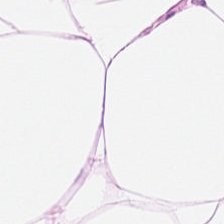Hematoxylin-and-eosin stained section; whole-slide-image patch. The predominant tissue is adipose tissue.
